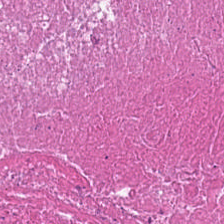H&E.
Q: What does this patch show?
A: The field shows cellular debris.
